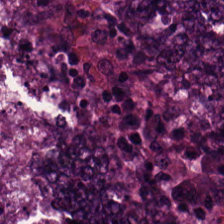Hematoxylin and eosin — This field is colorectal adenocarcinoma epithelium.
